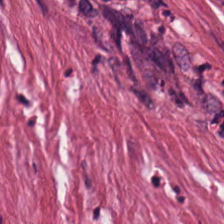H&E.
The tissue class is tumor-associated stroma.
